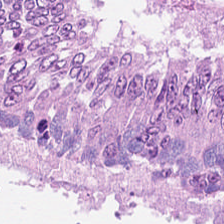0.5 microns per pixel. 224×224 px tile. H&E-stained tissue section.
The classification is adenocarcinoma.
